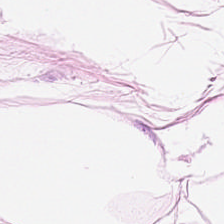H&E-stained tissue section — Adipose tissue.
